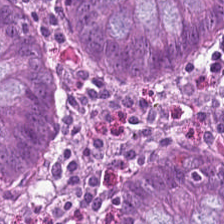Stain: H&E stain.
Tissue: benign colonic mucosa.
